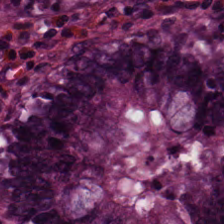H&E-stained tissue section. Whole-slide-image patch. 224×224 pixel tile.
This field is normal colonic mucosa.
